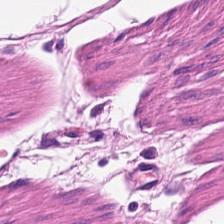Showing smooth-muscle tissue.
